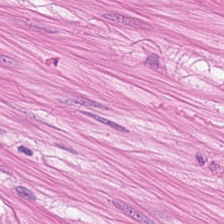Classification: muscularis.
